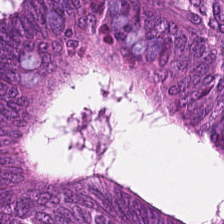H&E. Q: What type of tissue is this?
A: The field shows colorectal adenocarcinoma.
